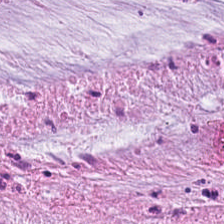H&E stain — {"tissue_type": "mucus"}
